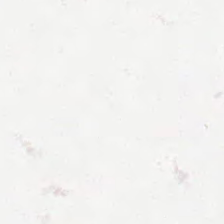Hematoxylin and eosin — This field is background (no tissue).
